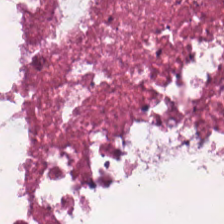Stain: hematoxylin-and-eosin stained section.
Tissue class: necrotic debris.
